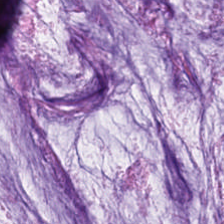H&E.
Showing mucus.
